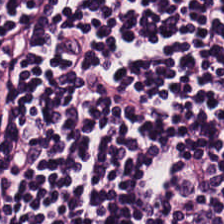Brightfield. H&E. 224×224 pixel tile. Q: Identify the tissue.
A: This is lymphocyte aggregate.
